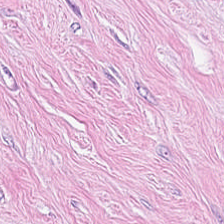Hematoxylin and eosin.
Histology — tumor-associated stroma.
